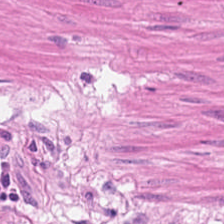H&E-stained tissue section. Smooth-muscle tissue.
